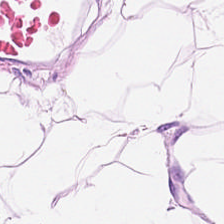H&E; formalin-fixed paraffin-embedded section — The predominant tissue is adipose.
